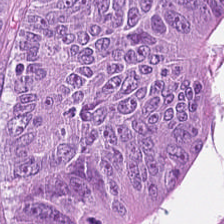Hematoxylin and eosin. The tissue here is malignant epithelium.
